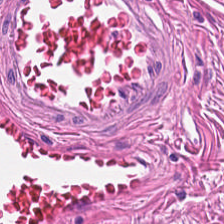H&E · FFPE tissue section · whole-slide-image patch — Predominant tissue — muscularis.
